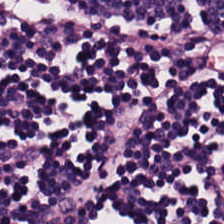Hematoxylin and eosin.
The tissue here is lymphocytic infiltrate.
